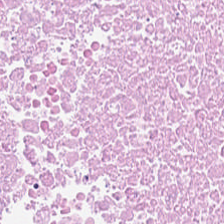FFPE; H&E-stained tissue section. {"tissue_type": "cellular debris"}
